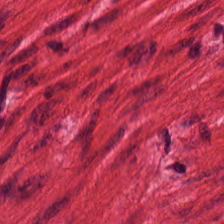0.5 µm per pixel; H&E; 224×224 pixel tile — Finding — muscularis.
